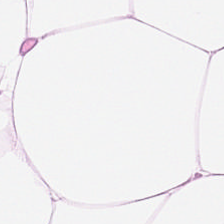Q: What tissue type is shown here?
A: The field shows adipocytes.
